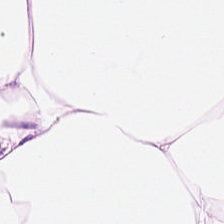The tissue is adipose.
